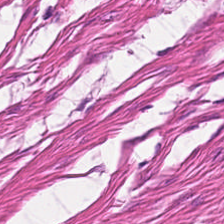0.5 µm/px; hematoxylin-and-eosin stained section; 224×224 px patch. This patch shows smooth-muscle tissue.
